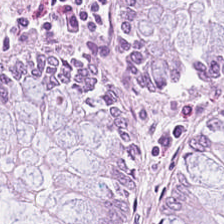FFPE tissue section · hematoxylin and eosin.
The predominant tissue is normal colonic mucosa.
